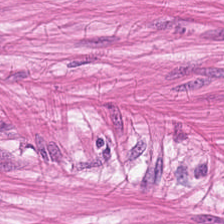H&E stain. Q: Identify the tissue.
A: This is smooth-muscle tissue.
